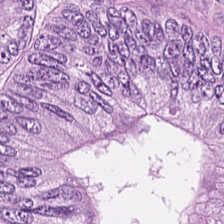The predominant tissue is malignant epithelium.
